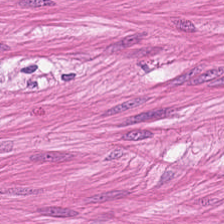Brightfield. 0.5 µm/px. H&E stain.
Q: What is shown here?
A: It is smooth muscle.
